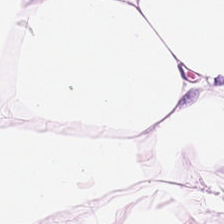This field is adipose tissue.
